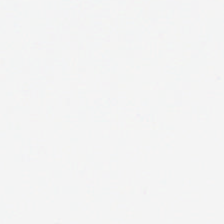Hematoxylin-and-eosin stained section — No tissue present; background only.
